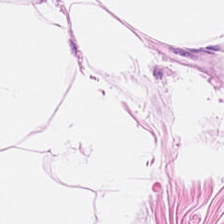Stain: H&E-stained tissue section.
Tissue: fat tissue.
